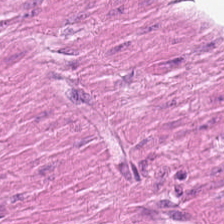Hematoxylin and eosin. Showing muscularis.
